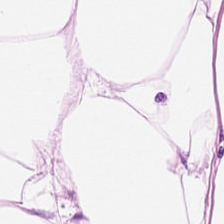224×224 px patch; hematoxylin-and-eosin stained section; 0.5 µm/px.
Tissue: adipose tissue.
